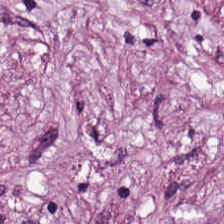Brightfield; H&E.
Tissue class — cancer-associated stroma.
